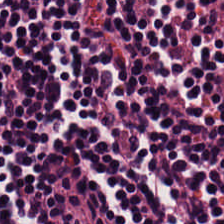H&E stain. WSI patch. Tissue = lymphocyte aggregate.
